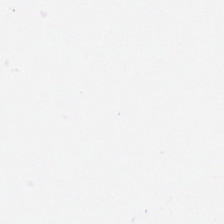H&E stain — Q: What does this patch show?
A: This is no tissue.
